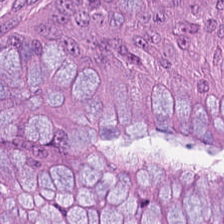Finding — malignant epithelium.
